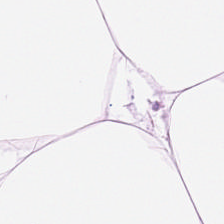The tissue class is fat tissue.
